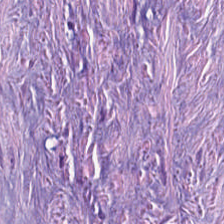Hematoxylin-and-eosin stained section — Tumor stroma.
